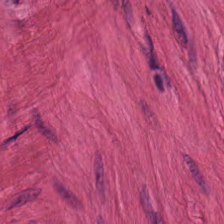Classification — muscularis.
